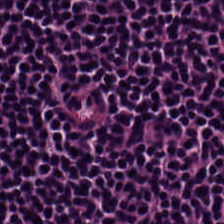Hematoxylin-and-eosin stained section.
{"tissue_type": "lymphocytic infiltrate"}
